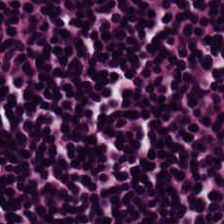FFPE; H&E — Classification — lymphocyte aggregate.
